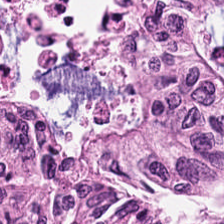H&E-stained tissue section — The tissue type is colorectal adenocarcinoma.
